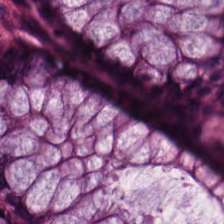H&E — Showing benign colonic mucosa.
